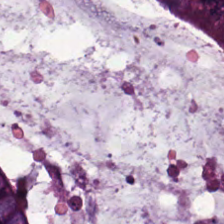Showing tumor epithelium.
